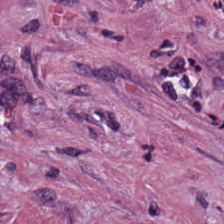FFPE tissue section; hematoxylin-and-eosin stained section; 20× equivalent magnification. Finding → desmoplastic stroma.
